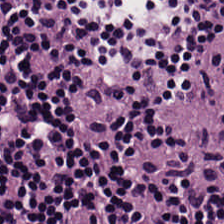H&E stain · 224×224 pixel tile · brightfield microscopy. {"tissue_type": "lymphocyte aggregate"}
